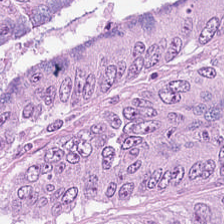H&E-stained tissue section — The tissue here is colorectal adenocarcinoma.
